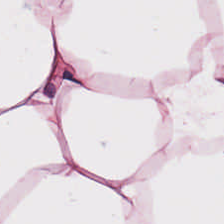H&E patch showing fat tissue.
